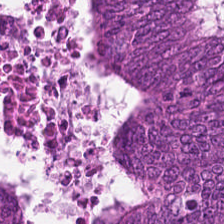H&E stain · 0.5 microns per pixel · brightfield. The tissue here is colorectal adenocarcinoma epithelium.
